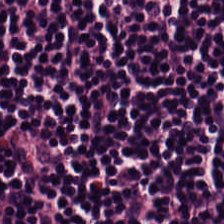H&E-stained tissue section. This field is lymphocytic infiltrate.
